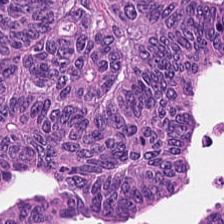224×224 px patch; hematoxylin and eosin; brightfield microscopy.
Q: What tissue type is shown here?
A: This is adenocarcinoma.
